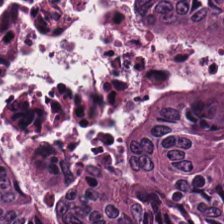H&E-stained tissue section showing malignant epithelium.
